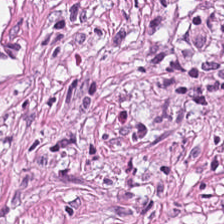The predominant tissue is desmoplastic stroma.
